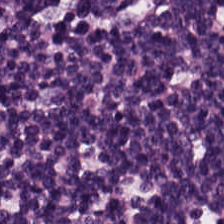Hematoxylin and eosin. 224×224 px patch. Predominantly lymphocytes.
